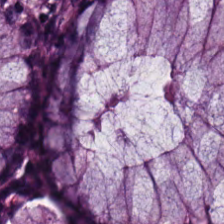Finding → normal colonic mucosa.
